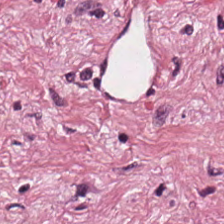Hematoxylin and eosin.
Histology → tumor-associated stroma.
